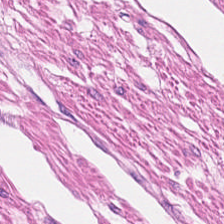Stain: hematoxylin-and-eosin stained section.
Preparation: FFPE.
Tissue type: smooth-muscle tissue.
